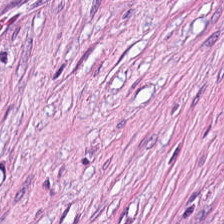Impression — cancer-associated stroma.
